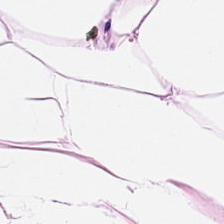0.5 microns per pixel · H&E stain.
Q: What does this patch show?
A: Adipocytes.
